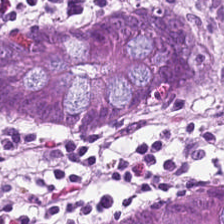Stain: hematoxylin-and-eosin stained section.
Classification: normal colon mucosa.
